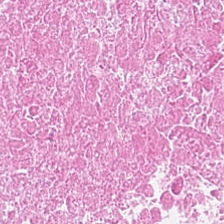The predominant tissue is debris.
